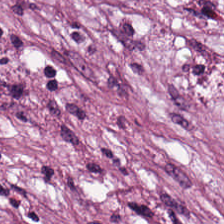H&E — Tumor-associated stroma.
